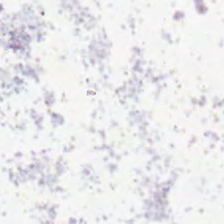H&E. 0.5 µm/px — The content is background.
